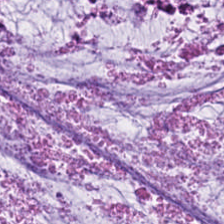20× equivalent magnification; hematoxylin and eosin.
Tissue: mucin.
